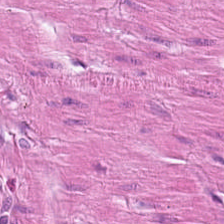224×224 px patch; FFPE tissue section; H&E.
The predominant tissue is smooth muscle.
